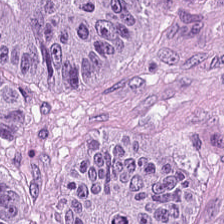H&E stain. Formalin-fixed paraffin-embedded section. This patch shows malignant epithelium.
